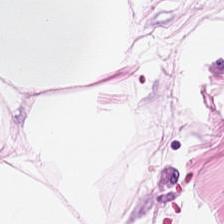Predominant tissue = adipose.
